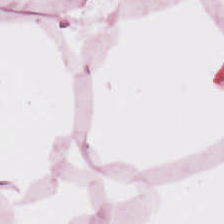Hematoxylin-and-eosin stained section; 0.5 µm/px. The tissue is adipose tissue.
